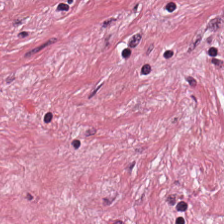Hematoxylin-and-eosin stained section. {"tissue_type": "tumor stroma"}
